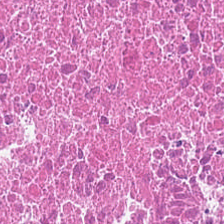H&E. 224×224 px patch. FFPE.
Cellular debris.
